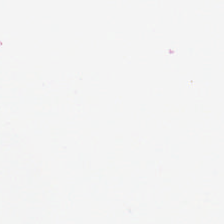This patch shows background.
